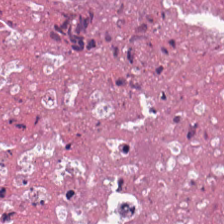224×224 pixel tile. H&E.
Q: What is shown here?
A: It is necrotic debris.
